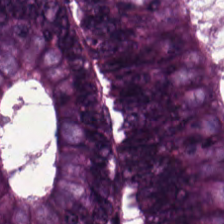Q: What does this patch show?
A: Colorectal adenocarcinoma epithelium.
